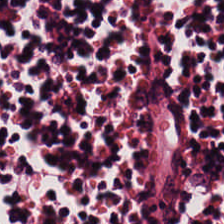Hematoxylin-and-eosin stained section; 0.5 µm per pixel; 224×224 pixel tile — Classification: lymphocytes.
